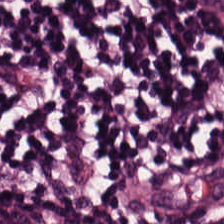H&E-stained tissue section.
Impression → lymphocytes.
